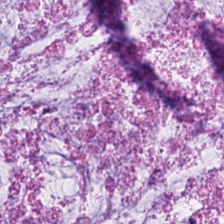Q: Identify the tissue.
A: The field shows mucus.
